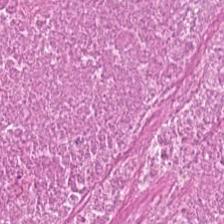H&E-stained tissue section showing cellular debris.
